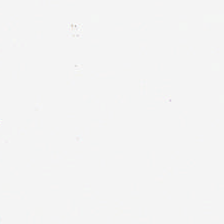H&E stain. This patch shows background.
